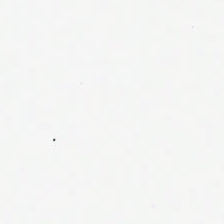H&E stain. {"content": "no tissue"}
